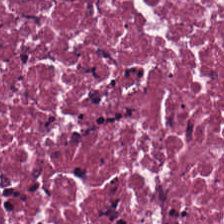Hematoxylin and eosin — Q: What is shown in this field?
A: It is necrotic debris.
